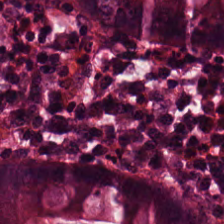H&E-stained tissue section — The predominant tissue is normal colonic mucosa.
